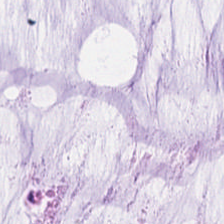224×224 pixel tile. H&E-stained tissue section. 20× equivalent magnification — Classification = extracellular mucin.
